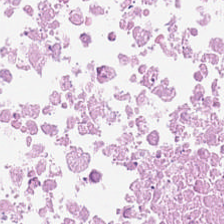Hematoxylin-and-eosin stained section.
Tissue class: cellular debris.
